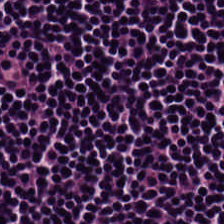Hematoxylin and eosin.
Q: Identify the tissue.
A: It is lymphocyte aggregate.
